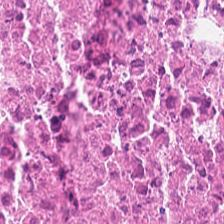Tissue = cellular debris.
